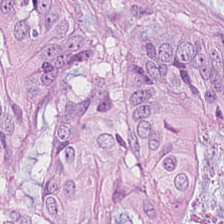H&E-stained tissue section showing malignant epithelium.
